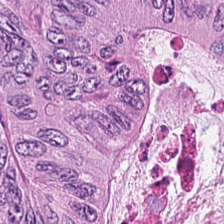Hematoxylin-and-eosin stained section — Tumor epithelium.
